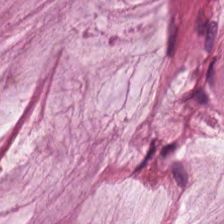H&E-stained tissue section; FFPE tissue section — Finding — mucus.
